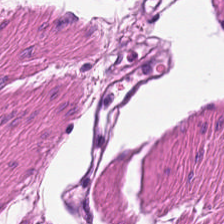Predominant tissue — muscularis.
